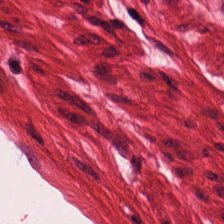H&E-stained section; the field shows smooth muscle.
